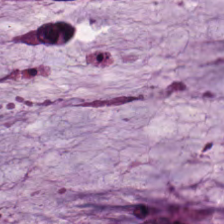Stain: H&E-stained tissue section.
Tissue: mucus.
